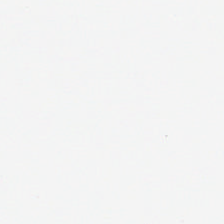H&E-stained tissue section. Q: Classify this patch.
A: It is empty background.
